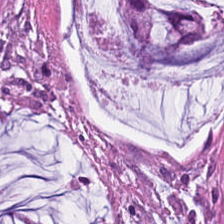FFPE tissue section. 224×224 px tile. H&E — Extracellular mucin.
